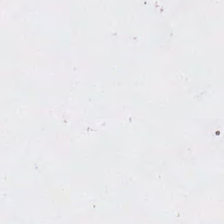Q: What does this patch show?
A: The field shows background (no tissue).
